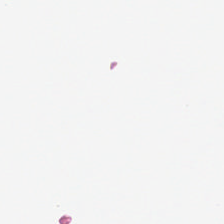H&E-stained tissue section. Classification: no tissue.
